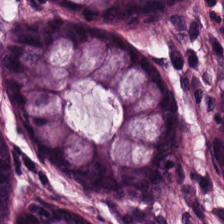Stain: H&E stain.
Resolution: 0.5 µm per pixel.
Acquisition: brightfield microscopy.
Tissue class: non-neoplastic colon mucosa.
